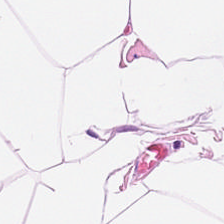Formalin-fixed paraffin-embedded section · H&E-stained tissue section · 0.5 microns per pixel.
{"tissue_type": "adipose"}
